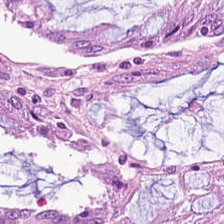H&E. Formalin-fixed paraffin-embedded section. 224×224 px patch.
Tissue class: non-neoplastic colon mucosa.
